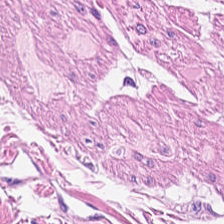H&E stain. Smooth-muscle tissue.
